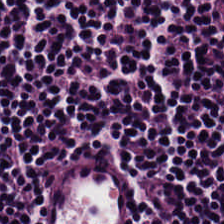Hematoxylin and eosin · 224×224 px patch · brightfield microscopy — Tissue: lymphocyte aggregate.
